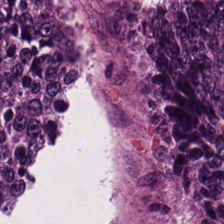224×224 px tile. FFPE tissue section. H&E stain. Q: What is shown in this field?
A: The field shows colorectal adenocarcinoma epithelium.
